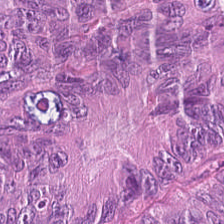Hematoxylin and eosin — Q: Identify the tissue.
A: Colorectal adenocarcinoma epithelium.
